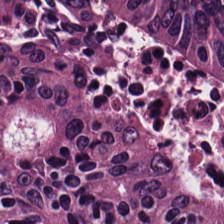H&E stain. Q: What tissue type is shown here?
A: The field shows colorectal adenocarcinoma.
